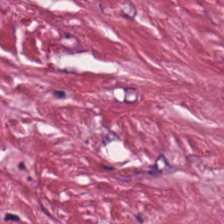H&E-stained tissue section. Brightfield.
Predominant tissue — tumor-associated stroma.
